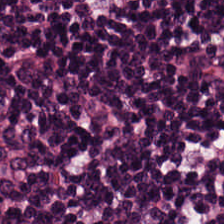Histology — lymphocytes.
